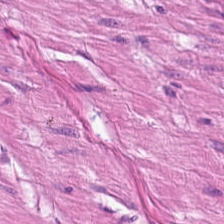H&E — Classification — muscularis.
